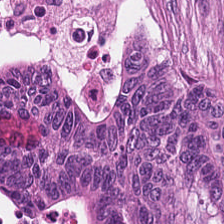H&E — Classification = adenocarcinoma.
